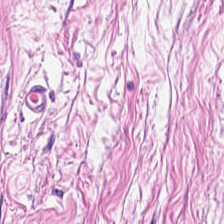H&E-stained tissue section — Classification: desmoplastic stroma.
